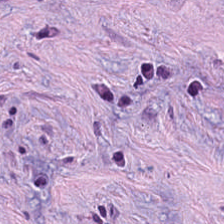H&E stain. 224×224 px tile. 0.5 µm/px — Classification: tumor stroma.
